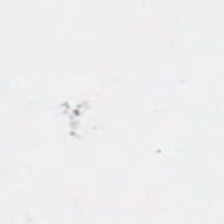Hematoxylin and eosin — Content: empty background.
